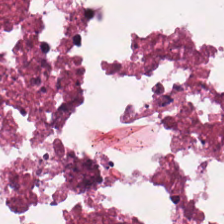H&E — The tissue here is cellular debris.
